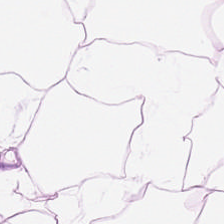FFPE · H&E stain · 224×224 pixel tile.
{"tissue_type": "fat tissue"}
